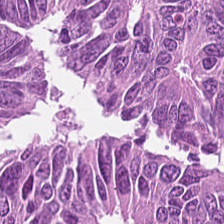Stain: hematoxylin-and-eosin stained section.
Tile size: 224×224 px tile.
Classification: colorectal adenocarcinoma epithelium.
